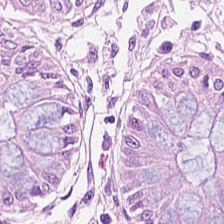Stain: hematoxylin and eosin.
Tile size: 224×224 px tile.
Tissue type: normal colon mucosa.
